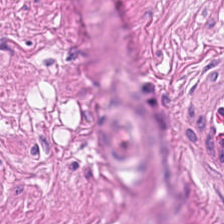20× equivalent magnification · hematoxylin and eosin.
The classification is smooth muscle.
